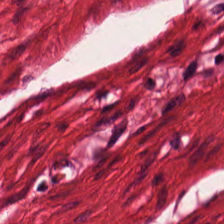Showing muscularis.
